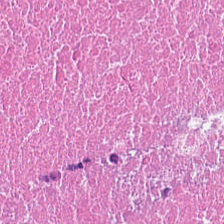H&E-stained section; the field shows cellular debris.
